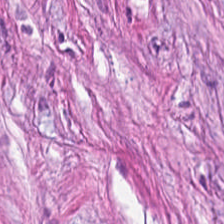H&E patch showing tumor stroma.
